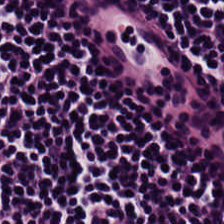20× equivalent magnification · H&E stain — Predominantly lymphocytes.
